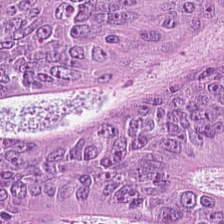The tissue here is colorectal adenocarcinoma epithelium.
